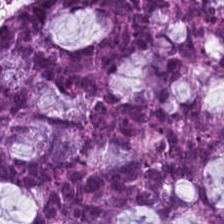Hematoxylin-and-eosin stained section — The tissue is mucin.
